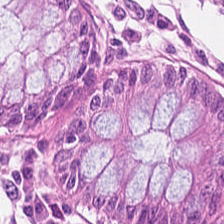Hematoxylin-and-eosin stained section — Tissue = normal colonic mucosa.
